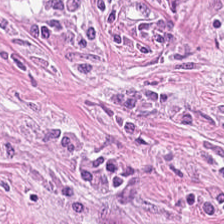Q: Identify the tissue.
A: This is tumor-associated stroma.
